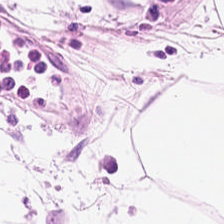Hematoxylin-and-eosin stained section.
Showing adipose tissue.
